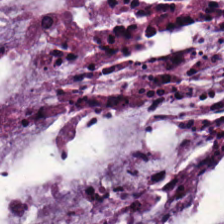Hematoxylin and eosin · 224×224 pixel tile.
Q: What is shown in this field?
A: Mucin.
